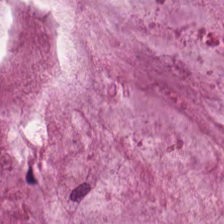H&E-stained tissue section.
Finding — mucus.
